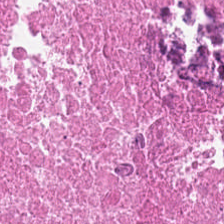Hematoxylin-and-eosin stained section. FFPE — Q: Identify the tissue.
A: Debris.
